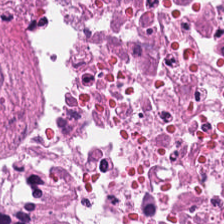Stain: H&E-stained tissue section.
Resolution: 20× equivalent magnification.
Acquisition: whole-slide-image patch.
Classification: necrotic debris.
